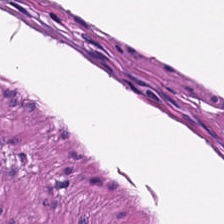Hematoxylin and eosin.
{"tissue_type": "smooth-muscle tissue"}
